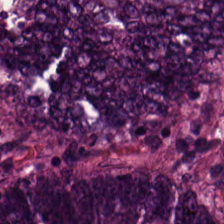Hematoxylin and eosin · 0.5 µm/px.
This field is colorectal adenocarcinoma.
